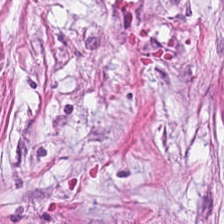H&E.
Showing tumor stroma.
